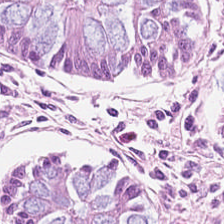H&E-stained tissue section.
Q: What is shown in this field?
A: It is benign colonic mucosa.
